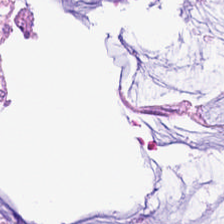0.5 microns per pixel. Hematoxylin and eosin — Benign colonic mucosa.
